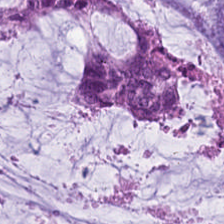Hematoxylin-and-eosin stained section.
This field is mucus.
